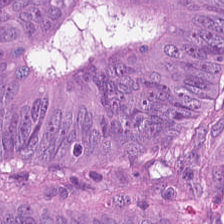Stain: H&E stain.
Tissue type: adenocarcinoma.
